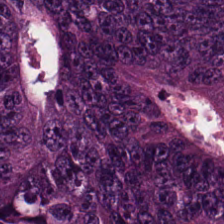{"tissue_type": "colorectal adenocarcinoma"}
